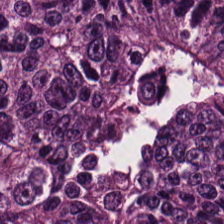Hematoxylin and eosin. Brightfield. 0.5 µm/px — Q: Identify the tissue.
A: This is malignant epithelium.
